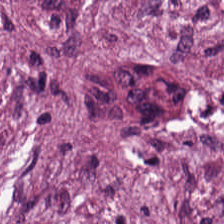H&E — Q: What is the predominant tissue type?
A: Cancer-associated stroma.
